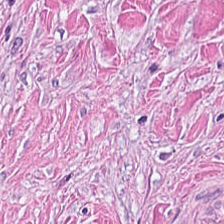20× equivalent magnification · H&E.
The predominant tissue is tumor-associated stroma.
